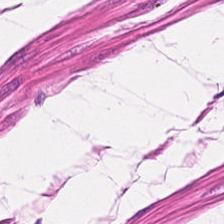0.5 microns per pixel · brightfield · hematoxylin and eosin — Showing smooth muscle.
